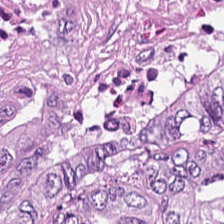0.5 microns per pixel; 224×224 px tile; hematoxylin and eosin — Q: Classify this patch.
A: Malignant epithelium.
